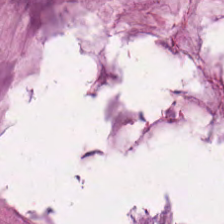H&E. Q: What does this patch show?
A: Extracellular mucin.
